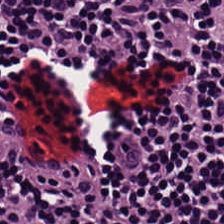Hematoxylin-and-eosin stained section.
This patch shows lymphocytic infiltrate.
